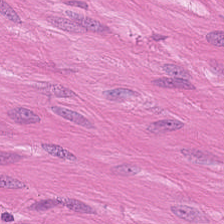Tissue type = smooth-muscle tissue.
